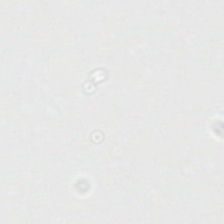Hematoxylin-and-eosin stained section. Histology — background.
